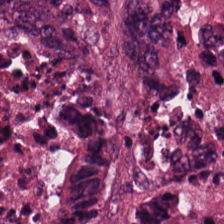H&E stain · 0.5 microns per pixel — The predominant tissue is tumor epithelium.
